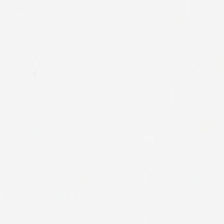Hematoxylin and eosin; WSI patch; FFPE. Histology — no tissue.
